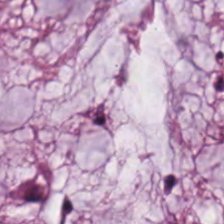224×224 px patch; hematoxylin and eosin — Mucus.
